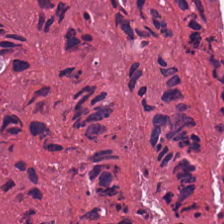The predominant tissue is debris.
